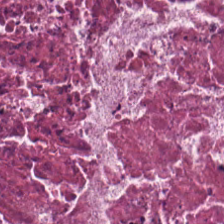Hematoxylin-and-eosin stained section. Predominant tissue = debris.
